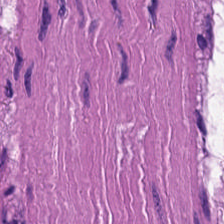H&E. 224×224 px patch.
Showing smooth-muscle tissue.
